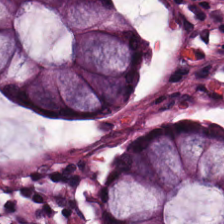224×224 pixel tile. H&E stain.
Q: What tissue type is shown here?
A: The field shows normal colonic mucosa.
